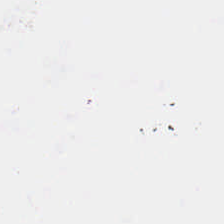H&E-stained tissue section; formalin-fixed paraffin-embedded section. The classification is background (no tissue).
